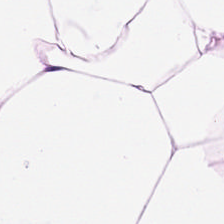Histology → adipocytes.
